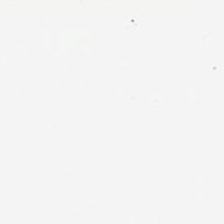Q: Classify this patch.
A: No tissue.
